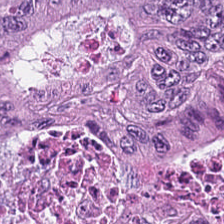Stain: hematoxylin-and-eosin stained section.
Tissue: tumor epithelium.
